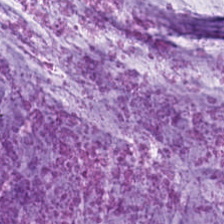The classification is mucus.
